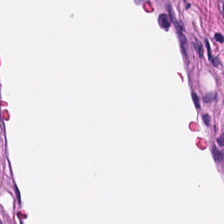Hematoxylin and eosin · 0.5 microns per pixel.
Q: What is shown in this field?
A: Smooth muscle.
